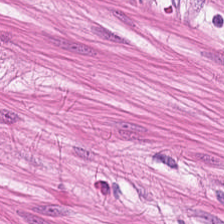0.5 µm/px · H&E-stained tissue section. Q: What does this patch show?
A: It is smooth-muscle tissue.
